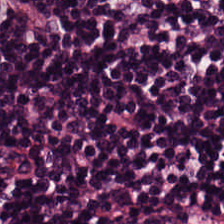Stain: hematoxylin-and-eosin stained section.
Tile size: 224×224 px patch.
Resolution: 0.5 microns per pixel.
Predominant tissue: lymphoid infiltrate.
